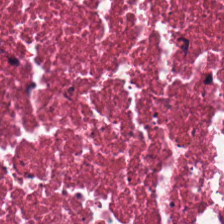Predominantly debris.
